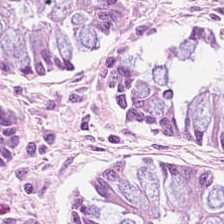Hematoxylin-and-eosin stained section. Classification = normal colon mucosa.
